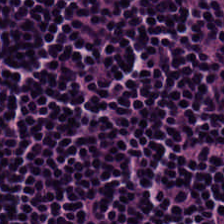224×224 pixel tile. H&E-stained tissue section. The tissue class is lymphoid infiltrate.
